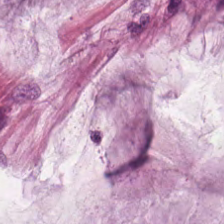H&E stain.
The predominant tissue is extracellular mucin.
